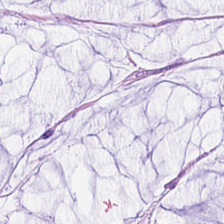H&E-stained tissue section.
Showing mucin.
